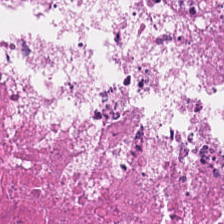H&E stain. Whole-slide-image patch. Formalin-fixed paraffin-embedded section. Histology → cellular debris.
